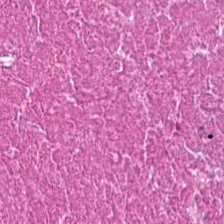H&E-stained tissue section.
Tissue type: cellular debris.
